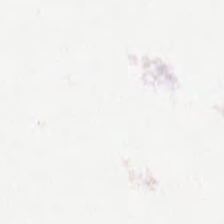H&E-stained tissue section.
{"content": "background (no tissue)"}
